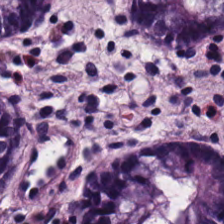Hematoxylin-and-eosin stained section.
The tissue class is non-neoplastic colon mucosa.
